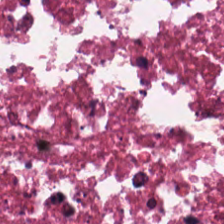Hematoxylin-and-eosin stained section. 0.5 µm per pixel. Tissue — debris.
